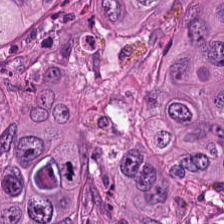The predominant tissue is adenocarcinoma.
